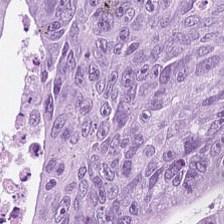H&E stain; 224×224 px patch — Predominant tissue = colorectal adenocarcinoma epithelium.
